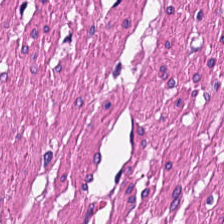H&E.
Finding → smooth-muscle tissue.
